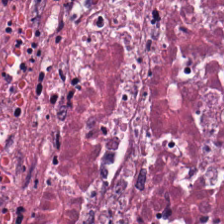H&E stain.
Showing debris.
